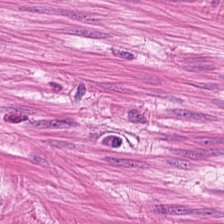Hematoxylin and eosin; brightfield microscopy — Tissue class = smooth-muscle tissue.
